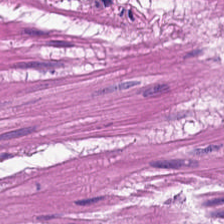Showing smooth-muscle tissue.
